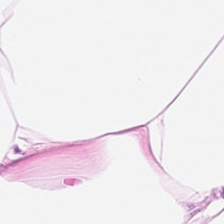The tissue class is adipocytes.
